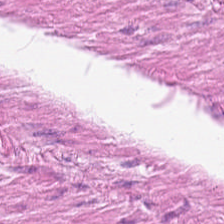Hematoxylin and eosin.
Impression → smooth muscle.
